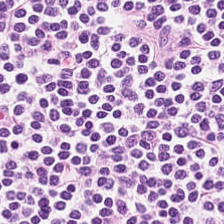Stain: H&E-stained tissue section.
Tissue: lymphocytes.
